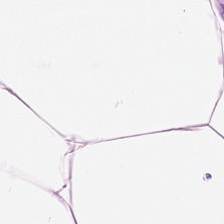Stain: H&E-stained tissue section.
Acquisition: WSI patch.
Tissue type: adipose.
